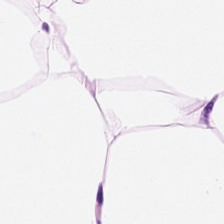Hematoxylin and eosin. This patch shows adipose.
